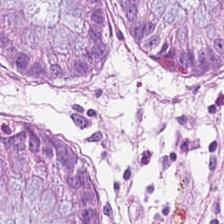H&E-stained tissue section; formalin-fixed paraffin-embedded section. Predominantly normal colonic mucosa.
